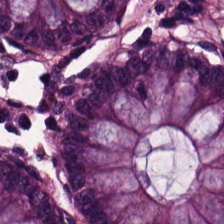Finding — non-neoplastic colon mucosa.
